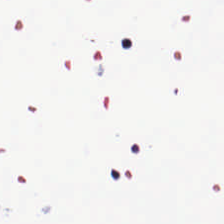Histology — background (no tissue).
